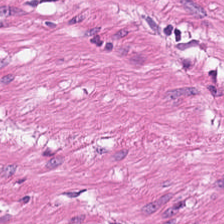H&E stain · formalin-fixed paraffin-embedded section.
{"tissue_type": "muscularis"}
